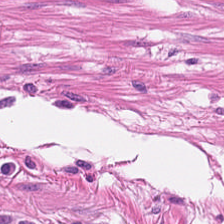Stain: hematoxylin and eosin.
Tile size: 224×224 pixel tile.
Tissue type: smooth muscle.
